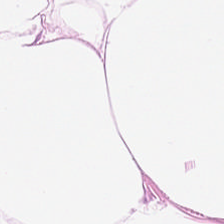Hematoxylin-and-eosin stained section.
This field is adipose tissue.
